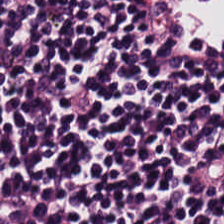Tissue class = lymphoid infiltrate.
